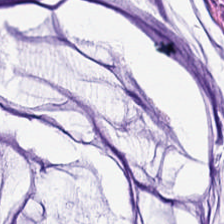Tissue class: extracellular mucin.
